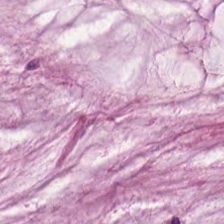H&E stain — Tissue class: mucus.
